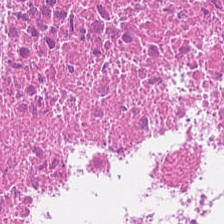H&E stain — Histology — cellular debris.
